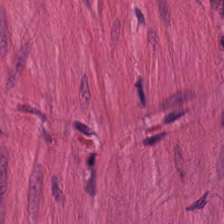H&E stain.
Showing smooth-muscle tissue.
